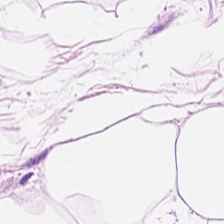H&E stain · brightfield — Histology — fat tissue.
